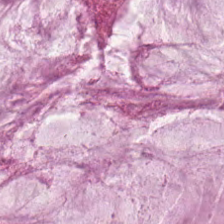20× equivalent magnification. H&E.
Predominant tissue — extracellular mucin.
